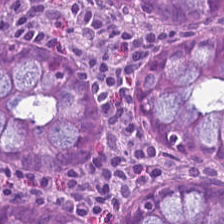Predominant tissue — normal colon mucosa.
